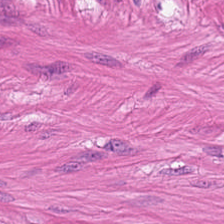H&E-stained tissue section. Q: What tissue type is shown here?
A: Muscularis.
